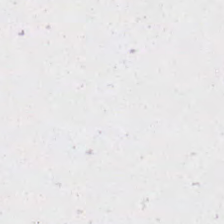Classification = empty background.
